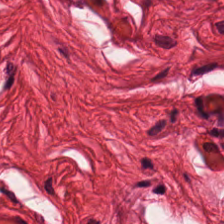H&E. FFPE.
The predominant tissue is muscularis.
